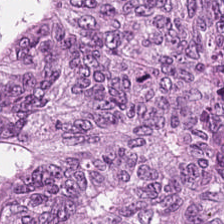Hematoxylin-and-eosin stained section — Impression → colorectal adenocarcinoma epithelium.
